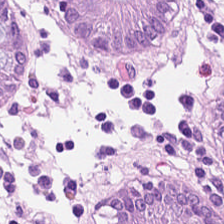H&E. Showing benign colonic mucosa.
